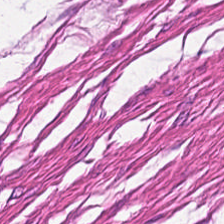H&E-stained tissue section.
Showing smooth muscle.
